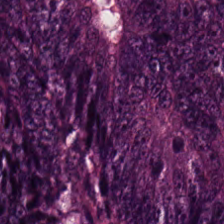H&E-stained section; the field shows malignant epithelium.
